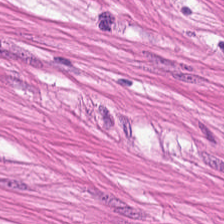H&E-stained tissue section.
{"tissue_type": "smooth-muscle tissue"}
